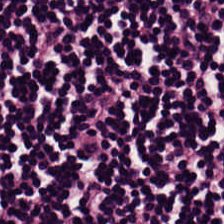Hematoxylin and eosin.
Impression → lymphoid infiltrate.
